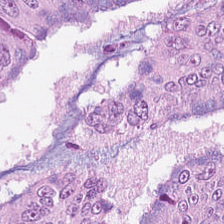H&E-stained tissue section. Tissue — colorectal adenocarcinoma.
